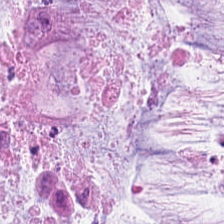This patch shows mucus.
